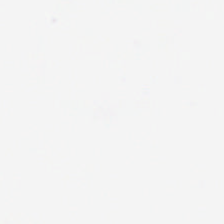H&E stain.
This patch shows empty background.
